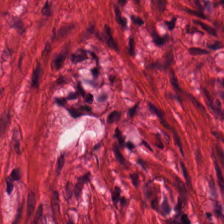Predominant tissue: smooth-muscle tissue.
